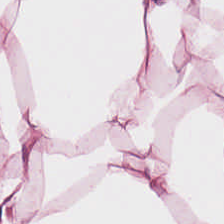Hematoxylin-and-eosin stained section. This field is fat tissue.
